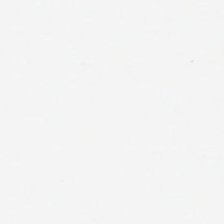Hematoxylin-and-eosin stained section — Finding → empty background.
